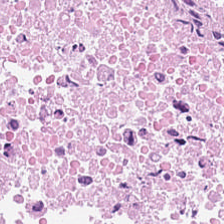The tissue here is cellular debris.
